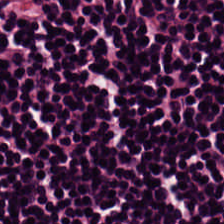The tissue here is lymphocyte aggregate.
